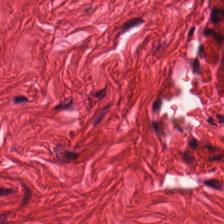H&E-stained tissue section.
Classification — smooth-muscle tissue.
